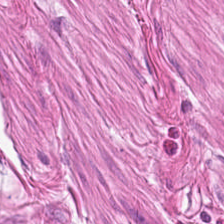H&E. Tissue class — muscularis.
